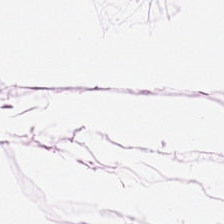H&E — Finding → fat tissue.
